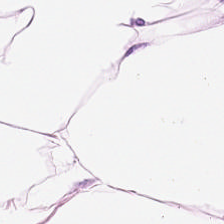Hematoxylin-and-eosin stained section.
Q: What does this patch show?
A: It is adipocytes.
